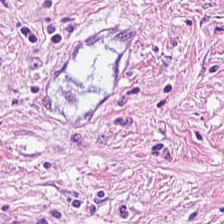The tissue here is tumor-associated stroma.
